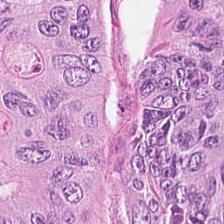0.5 microns per pixel. H&E.
{"tissue_type": "colorectal adenocarcinoma"}
